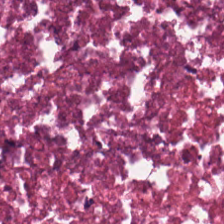H&E stain — This patch shows debris.
